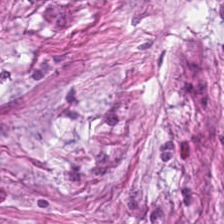Hematoxylin-and-eosin stained section; brightfield microscopy.
Finding → tumor-associated stroma.
